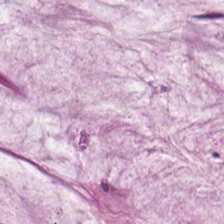Tissue = mucus.
